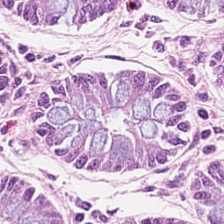H&E stain. Q: Classify this patch.
A: It is normal colonic mucosa.
